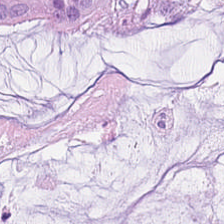H&E; 0.5 µm per pixel; FFPE tissue section. {"tissue_type": "extracellular mucin"}
